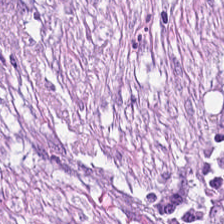Stain: H&E-stained tissue section.
Tile size: 224×224 pixel tile.
Preparation: formalin-fixed paraffin-embedded section.
Tissue: desmoplastic stroma.
